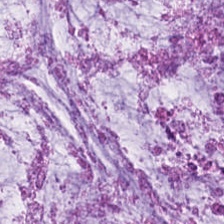224×224 px tile. H&E stain — Q: What is shown in this field?
A: Mucus.
